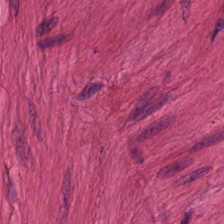WSI patch. Hematoxylin-and-eosin stained section — The predominant tissue is smooth muscle.
